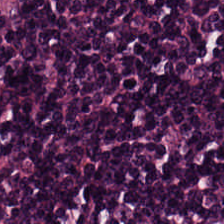Hematoxylin-and-eosin stained section. Predominantly lymphocytic infiltrate.
